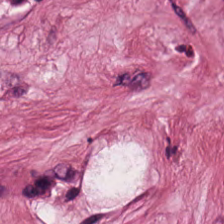Impression — desmoplastic stroma.
